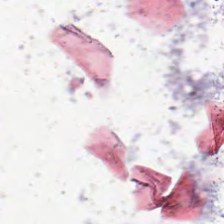Hematoxylin and eosin.
Empty field — background (no tissue).
